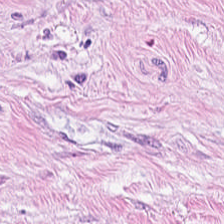Hematoxylin and eosin — The classification is tumor-associated stroma.
